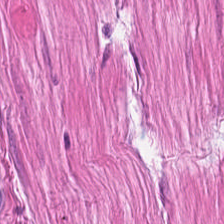This field is muscularis.
